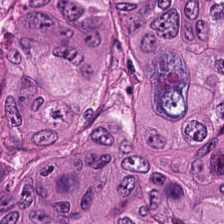0.5 µm/px. WSI patch. H&E — Q: What is the predominant tissue type?
A: The field shows colorectal adenocarcinoma epithelium.
